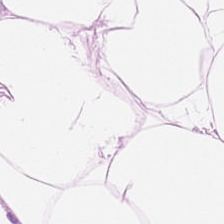H&E-stained tissue section — Showing adipose tissue.
